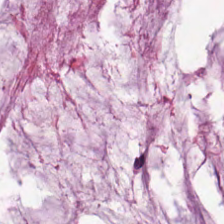Hematoxylin and eosin — Impression — mucus.
